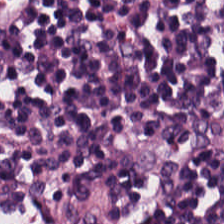H&E; whole-slide-image patch. This field is lymphocyte aggregate.
